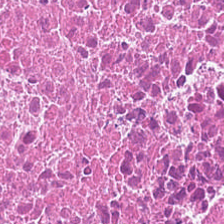Hematoxylin and eosin. Tissue class: debris.
